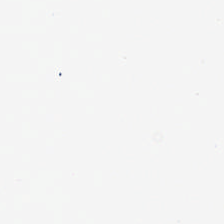FFPE; H&E.
Empty field — empty background.
